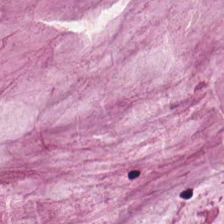Stain: H&E-stained tissue section.
Classification: mucin.
